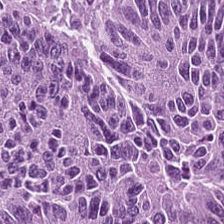H&E. The predominant tissue is malignant epithelium.
